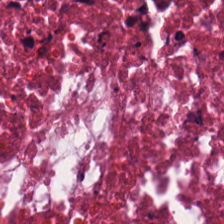H&E-stained tissue section.
The predominant tissue is cellular debris.
